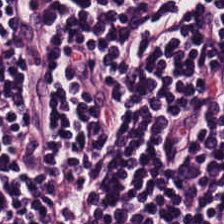H&E.
Predominantly lymphocytic infiltrate.
